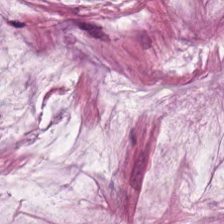H&E stain. Extracellular mucin.
